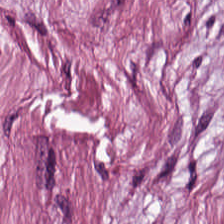Hematoxylin and eosin. This field is tumor-associated stroma.
